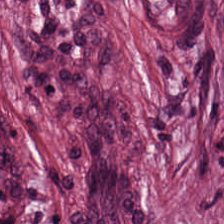224×224 px tile; H&E-stained tissue section. Desmoplastic stroma.
